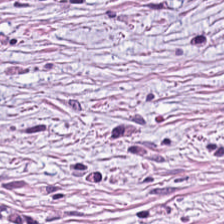H&E.
Showing desmoplastic stroma.
